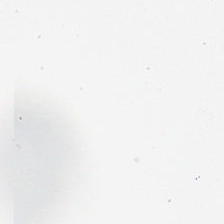{"content": "no tissue"}
